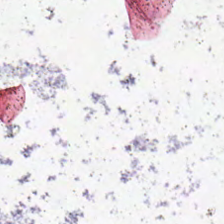Hematoxylin and eosin — Classification: empty background.
